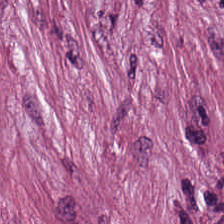Stain: H&E-stained tissue section.
Tile size: 224×224 pixel tile.
Tissue: desmoplastic stroma.
